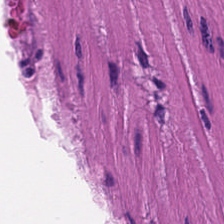Hematoxylin-and-eosin section: smooth-muscle tissue.
